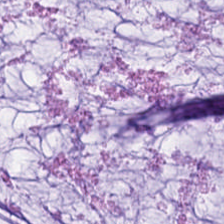Hematoxylin and eosin · whole-slide-image patch.
Predominantly mucin.
